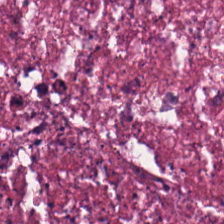Hematoxylin-and-eosin stained section; FFPE tissue section.
Impression → debris.
